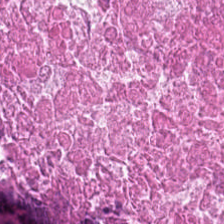224×224 pixel tile; FFPE tissue section; H&E-stained tissue section — {"tissue_type": "cellular debris"}
